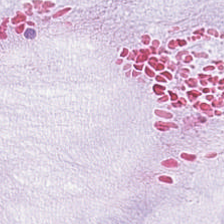Hematoxylin-and-eosin stained section — {"tissue_type": "mucus"}
